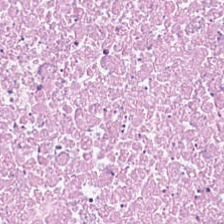Hematoxylin and eosin · brightfield microscopy. Q: Identify the tissue.
A: The field shows debris.
